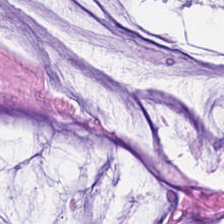0.5 microns per pixel; H&E stain.
Tissue type = mucin.
